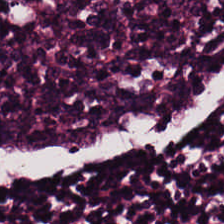0.5 microns per pixel. Hematoxylin-and-eosin stained section. This field is lymphocyte aggregate.
